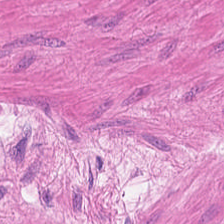Stain: hematoxylin and eosin.
Tile size: 224×224 pixel tile.
Tissue type: muscularis.
